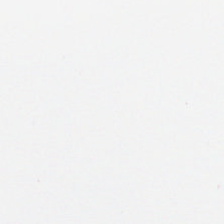H&E stain. Brightfield.
This field is background (no tissue).
